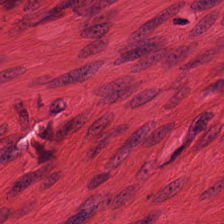The tissue here is muscularis.
